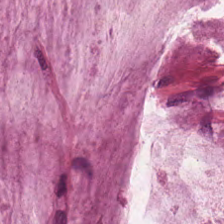Hematoxylin-and-eosin stained section.
Mucin.
